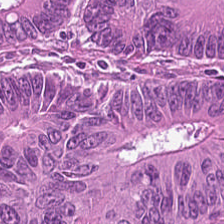H&E — Showing colorectal adenocarcinoma epithelium.
